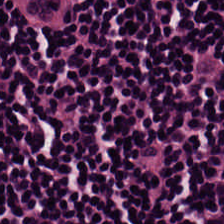Brightfield · hematoxylin-and-eosin stained section — Q: What is the predominant tissue type?
A: This is lymphoid infiltrate.
